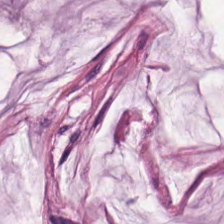H&E stain; FFPE. Predominantly mucus.
